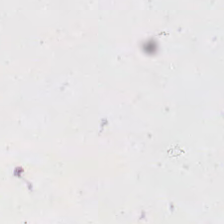0.5 µm/px; H&E stain. This field is background (no tissue).
